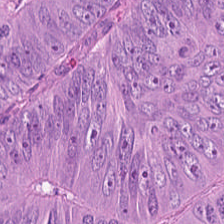Hematoxylin-and-eosin stained section. Classification: tumor epithelium.
